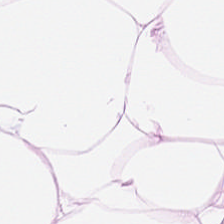H&E.
Predominantly adipocytes.
